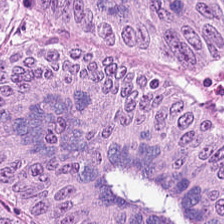H&E; 0.5 microns per pixel; FFPE — The tissue here is colorectal adenocarcinoma.
